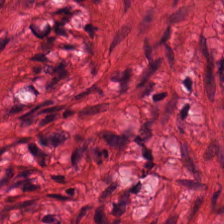Q: Identify the tissue.
A: The field shows muscularis.
